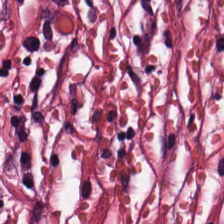224×224 px patch · hematoxylin and eosin.
Q: What tissue type is shown here?
A: The field shows desmoplastic stroma.
